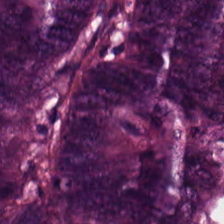Hematoxylin-and-eosin stained section. {"tissue_type": "adenocarcinoma"}
